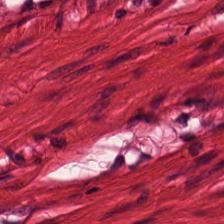H&E-stained tissue section. Classification — smooth-muscle tissue.
